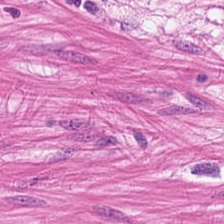H&E-stained tissue section.
Q: What is shown in this field?
A: This is smooth-muscle tissue.
